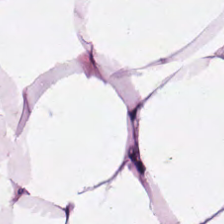Hematoxylin-and-eosin stained section.
{"tissue_type": "adipocytes"}
